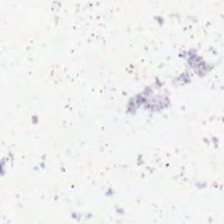Brightfield · hematoxylin-and-eosin stained section. Q: What is shown in this field?
A: This is background (no tissue).
